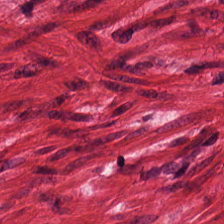H&E-stained tissue section — The tissue here is smooth muscle.
